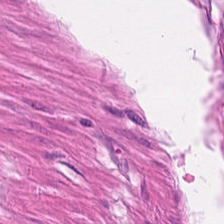Hematoxylin-and-eosin stained section.
Q: What tissue is shown?
A: The field shows muscularis.
